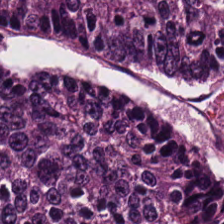Stain: H&E-stained tissue section.
Tissue class: malignant epithelium.
